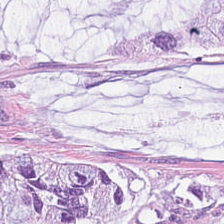H&E-stained section; the field shows mucus.
